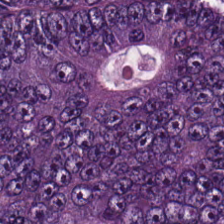H&E-stained tissue section — This patch shows colorectal adenocarcinoma epithelium.
